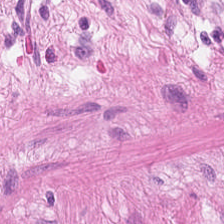Hematoxylin and eosin.
Smooth-muscle tissue.
